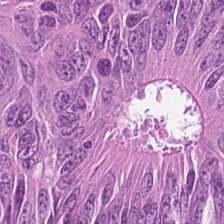Whole-slide-image patch; hematoxylin and eosin. The predominant tissue is malignant epithelium.
